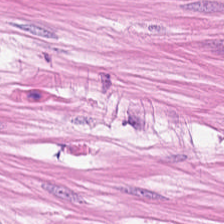H&E-stained tissue section; whole-slide-image patch — The tissue type is muscularis.
